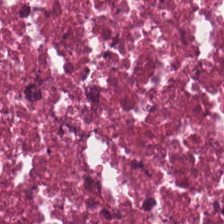Hematoxylin and eosin. 20× equivalent magnification — Showing cellular debris.
